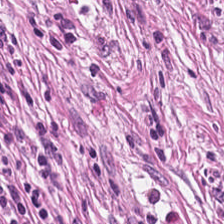H&E. Tumor-associated stroma.
